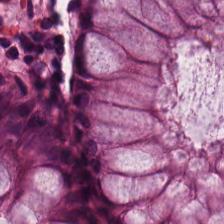H&E — {"tissue_type": "normal colon mucosa"}
